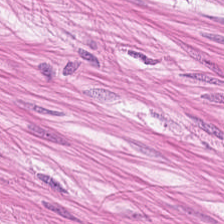0.5 µm/px · hematoxylin and eosin.
Q: What does this patch show?
A: The field shows smooth muscle.
